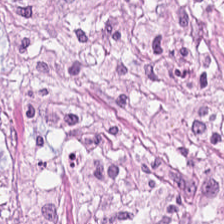H&E-stained tissue section showing cancer-associated stroma.
